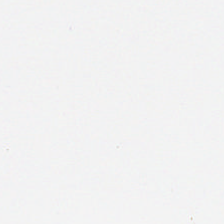Stain: hematoxylin and eosin.
Resolution: 0.5 µm/px.
Preparation: formalin-fixed paraffin-embedded section.
Field content: empty background.
